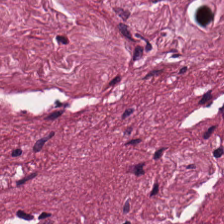Predominant tissue — tumor stroma.
